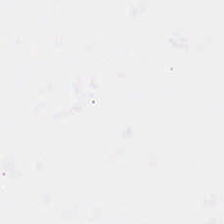224×224 px tile · H&E-stained tissue section.
{"content": "no tissue"}
